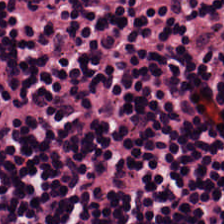Hematoxylin and eosin. Predominantly lymphoid infiltrate.
